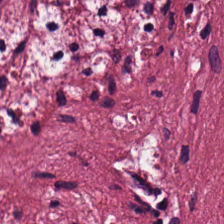224×224 pixel tile · H&E · brightfield microscopy — The predominant tissue is tumor stroma.
